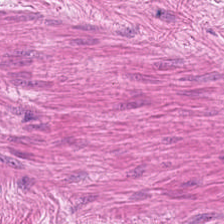H&E-stained tissue section. {"tissue_type": "smooth muscle"}
